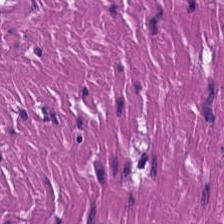Stain: hematoxylin-and-eosin stained section.
Resolution: 20× equivalent magnification.
Acquisition: whole-slide-image patch.
Tissue type: muscularis.
